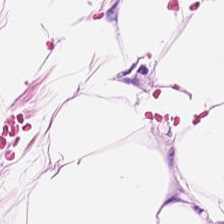Hematoxylin and eosin. The tissue here is adipose.
